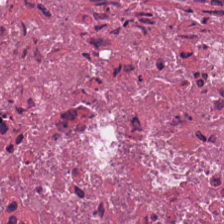Hematoxylin-and-eosin stained section; 224×224 pixel tile; FFPE tissue section. Tissue type: cellular debris.
